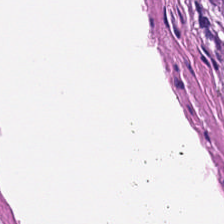Hematoxylin-and-eosin stained section.
Impression — muscularis.
